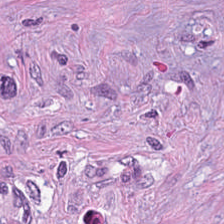FFPE; whole-slide-image patch; hematoxylin-and-eosin stained section. The tissue here is cancer-associated stroma.
